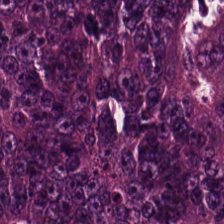0.5 µm per pixel. Hematoxylin and eosin. FFPE. Tissue type — malignant epithelium.
